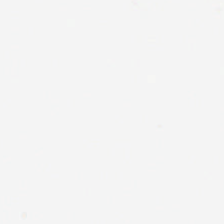H&E-stained tissue section.
No tissue present; background only.
